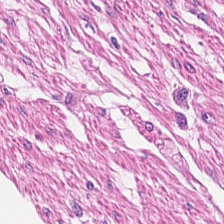Hematoxylin and eosin. Finding → smooth muscle.
